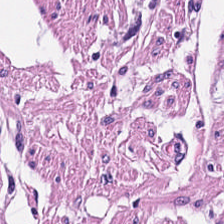224×224 px tile; H&E stain; 0.5 microns per pixel — Q: Classify this patch.
A: Smooth muscle.
